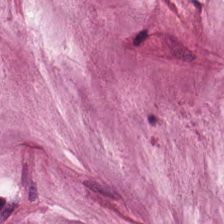H&E-stained tissue section — Tissue class: extracellular mucin.
